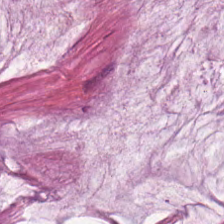Hematoxylin and eosin; 224×224 px tile; 0.5 microns per pixel.
Q: What type of tissue is this?
A: Mucus.
